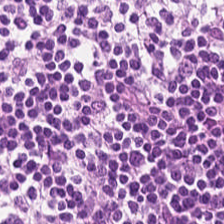224×224 px tile · FFPE · H&E.
The predominant tissue is lymphocyte aggregate.
